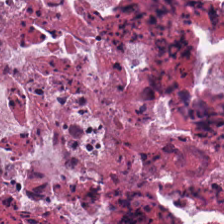Hematoxylin-and-eosin stained section — Q: What tissue is shown?
A: It is debris.
